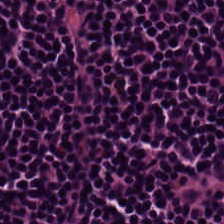224×224 pixel tile · H&E stain — The predominant tissue is lymphocytic infiltrate.
